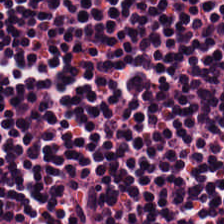Hematoxylin and eosin · 224×224 px patch.
This field is lymphocytic infiltrate.
